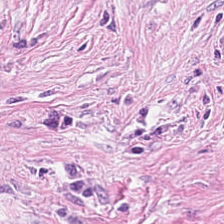H&E-stained tissue section — Desmoplastic stroma.
